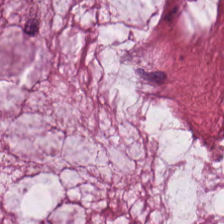0.5 µm per pixel · H&E stain — The predominant tissue is mucin.
